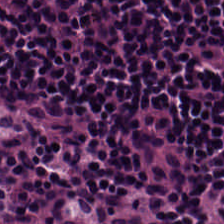Hematoxylin-and-eosin stained section.
Impression → lymphocytic infiltrate.
